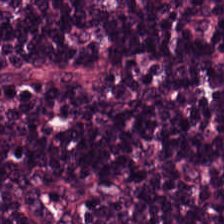20× equivalent magnification. Hematoxylin-and-eosin stained section.
Histology → lymphocytic infiltrate.
